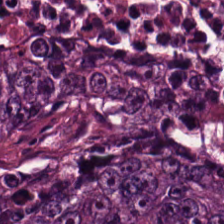Hematoxylin and eosin · 20× equivalent magnification.
{"tissue_type": "colorectal adenocarcinoma"}
